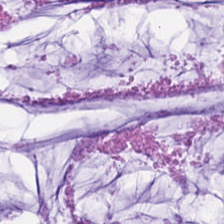Hematoxylin-and-eosin stained section · whole-slide-image patch — The tissue class is extracellular mucin.
